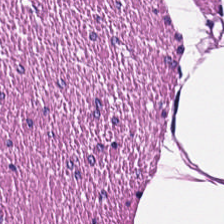WSI patch; hematoxylin and eosin — Q: What tissue is shown?
A: This is smooth-muscle tissue.
